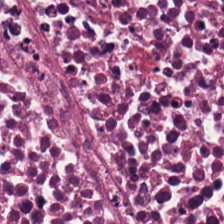Brightfield microscopy · 20× equivalent magnification · H&E stain.
Cellular debris.
